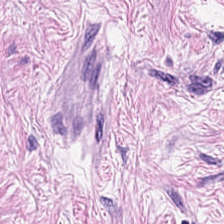224×224 px tile · hematoxylin and eosin. The tissue here is cancer-associated stroma.
